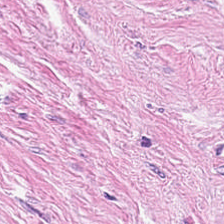Stain: hematoxylin-and-eosin stained section.
Acquisition: brightfield microscopy.
Resolution: 0.5 µm per pixel.
Tissue class: tumor stroma.
